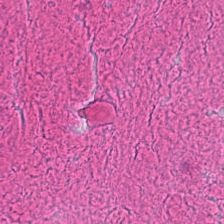20× equivalent magnification · hematoxylin and eosin — Cellular debris.
